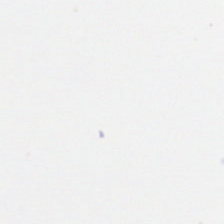Whole-slide-image patch. Hematoxylin-and-eosin stained section. 0.5 µm per pixel. Impression — no tissue.
